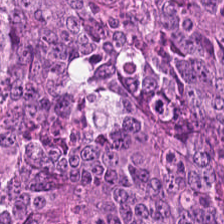Brightfield microscopy. 224×224 px patch. Hematoxylin-and-eosin stained section.
{"tissue_type": "adenocarcinoma"}
